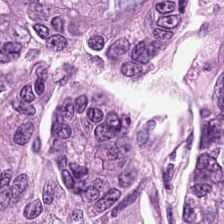Showing tumor epithelium.
